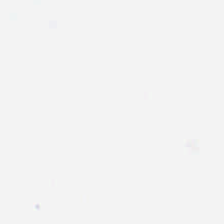Brightfield; hematoxylin-and-eosin stained section; FFPE tissue section.
Field content = empty background.
